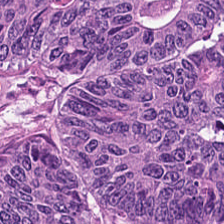Brightfield · H&E. Finding → malignant epithelium.
